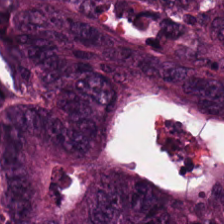0.5 microns per pixel · hematoxylin-and-eosin stained section — The tissue class is colorectal adenocarcinoma.
